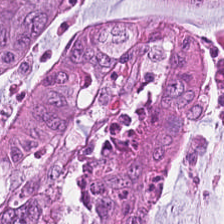The tissue is tumor epithelium.
